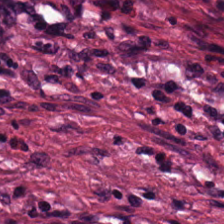H&E-stained tissue section — The tissue here is cancer-associated stroma.
